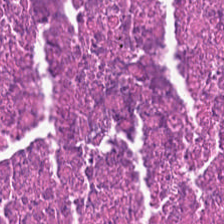H&E-stained tissue section. 224×224 pixel tile.
Q: What tissue is shown?
A: This is cellular debris.
